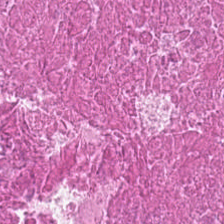Whole-slide-image patch. 0.5 µm per pixel. H&E stain. Q: What is shown in this field?
A: Debris.
